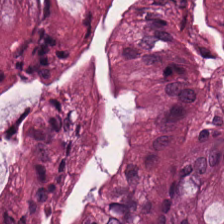The predominant tissue is normal colonic mucosa.
